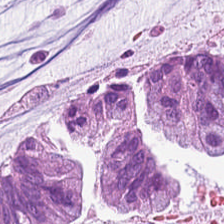H&E stain — The predominant tissue is mucin.
